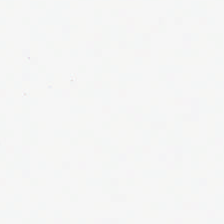Hematoxylin and eosin. FFPE. 0.5 microns per pixel. This patch shows background (no tissue).
